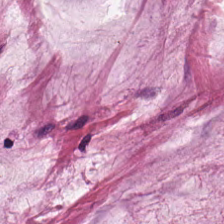Hematoxylin and eosin.
Showing extracellular mucin.
